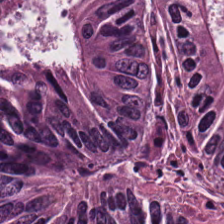Hematoxylin-and-eosin stained section — Tissue class: colorectal adenocarcinoma.
